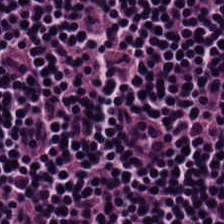Stain: H&E stain.
Classification: lymphocytic infiltrate.
